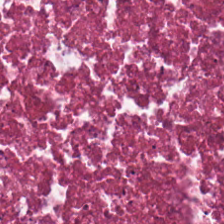H&E-stained tissue section. 0.5 µm/px.
Showing debris.
